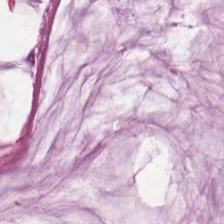Tissue: mucin.
